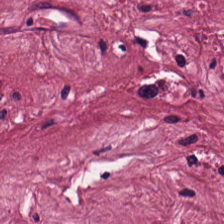Hematoxylin and eosin.
Impression — desmoplastic stroma.
